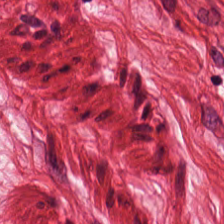20× equivalent magnification. Hematoxylin-and-eosin stained section — Showing smooth-muscle tissue.
